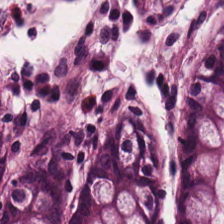H&E stain; FFPE. Predominant tissue: normal colonic mucosa.
